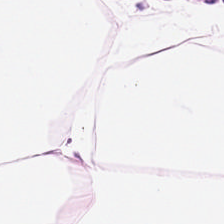H&E. Formalin-fixed paraffin-embedded section. Adipose tissue.
